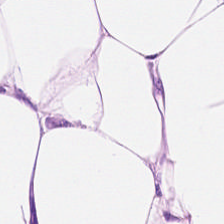Hematoxylin and eosin.
The tissue type is adipocytes.
